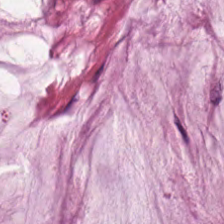Hematoxylin and eosin · 224×224 px patch. Tissue class: extracellular mucin.
